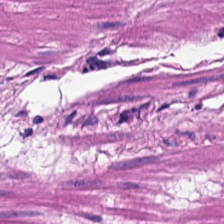Hematoxylin and eosin · FFPE. Tissue — smooth muscle.
